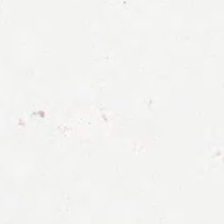H&E-stained tissue section. FFPE. Whole-slide-image patch. Impression — no tissue.
